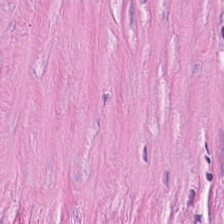This field is desmoplastic stroma.
